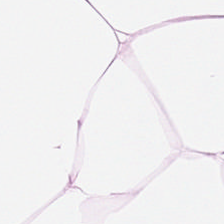Stain: H&E stain.
Tile size: 224×224 px patch.
Acquisition: WSI patch.
Classification: fat tissue.
